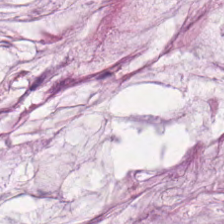Hematoxylin and eosin · WSI patch · 224×224 pixel tile — Showing mucus.
